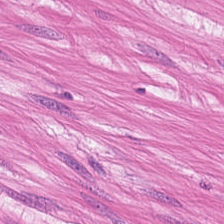H&E stain; 224×224 px tile — Showing smooth-muscle tissue.
